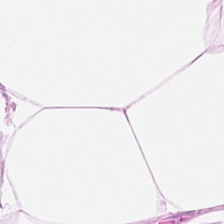H&E stain. FFPE. 0.5 µm/px. Q: Identify the tissue.
A: Adipocytes.
